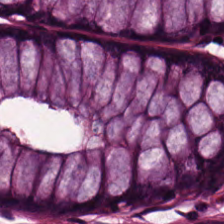Stain: H&E-stained tissue section.
Predominant tissue: non-neoplastic colon mucosa.
